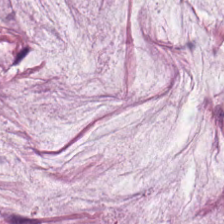Hematoxylin-and-eosin stained section — Impression → mucus.
